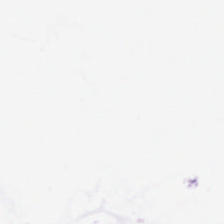H&E stain · FFPE.
Classification = background.
